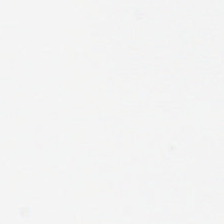Hematoxylin and eosin.
Empty background.
